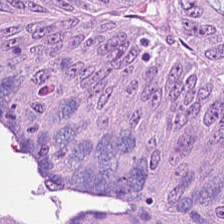224×224 px patch; 20× equivalent magnification; H&E-stained tissue section.
Predominant tissue: colorectal adenocarcinoma.
